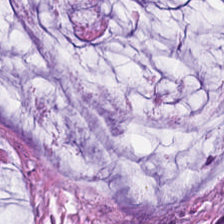Hematoxylin-and-eosin stained section. 0.5 µm/px.
The tissue here is extracellular mucin.
